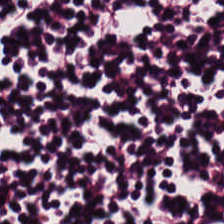H&E stain. Predominantly lymphocytic infiltrate.
